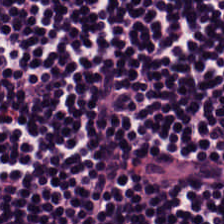H&E stain. The tissue here is lymphocytes.
